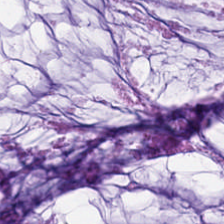Hematoxylin and eosin — This patch shows mucin.
